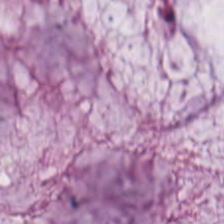Predominant tissue — mucus.
